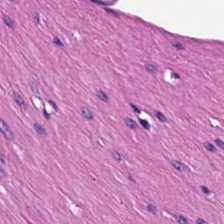Predominantly smooth-muscle tissue.
